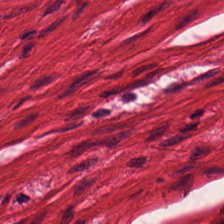FFPE tissue section · brightfield microscopy · hematoxylin and eosin — The tissue here is smooth muscle.
